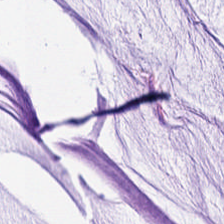Hematoxylin and eosin — Q: What type of tissue is this?
A: Mucin.
